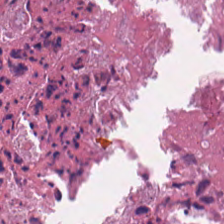H&E stain — The predominant tissue is debris.
